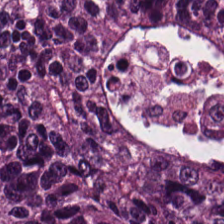Impression → malignant epithelium.
